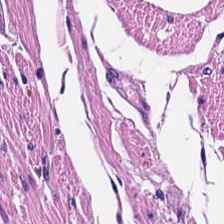Histology → smooth muscle.
